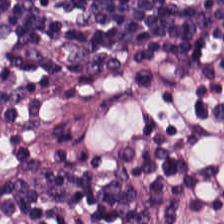Hematoxylin and eosin.
The tissue here is lymphocytic infiltrate.
